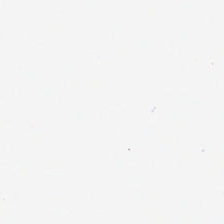0.5 microns per pixel; H&E-stained tissue section; WSI patch. This field is background (no tissue).
